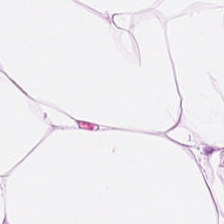Hematoxylin-and-eosin stained section · 224×224 px patch — The tissue here is adipose.
